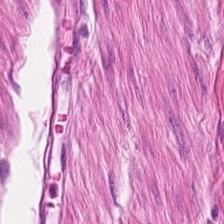Stain: hematoxylin and eosin.
Preparation: FFPE tissue section.
Predominant tissue: smooth muscle.
